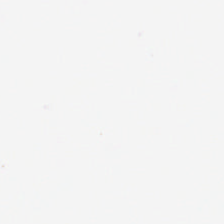Stain: H&E.
Content: background.
